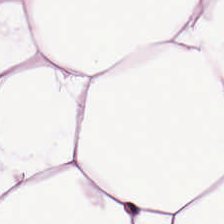224×224 px patch; H&E; brightfield microscopy — Impression — fat tissue.
